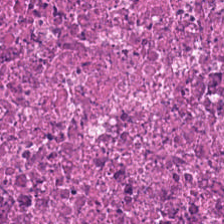FFPE tissue section; H&E-stained tissue section. Q: What is shown here?
A: This is debris.
